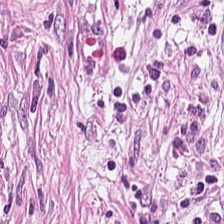FFPE; hematoxylin and eosin.
{"tissue_type": "desmoplastic stroma"}
